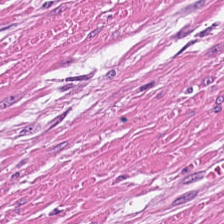Muscularis.
